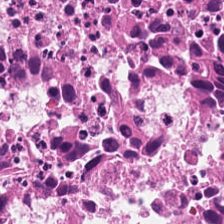Q: What does this patch show?
A: This is cellular debris.
